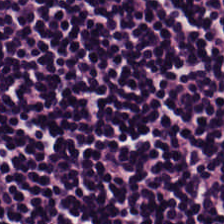Stain: hematoxylin and eosin.
Tissue type: lymphocyte aggregate.
